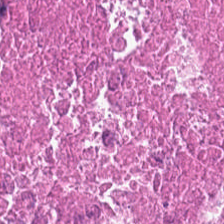Brightfield microscopy · hematoxylin and eosin — The tissue type is debris.
